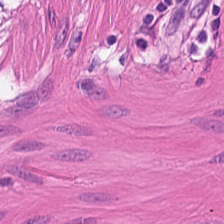H&E-stained tissue section.
This field is smooth-muscle tissue.
